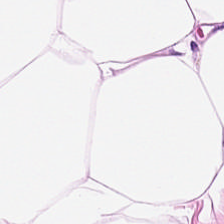Formalin-fixed paraffin-embedded section; hematoxylin-and-eosin stained section; 20× equivalent magnification.
Q: What type of tissue is this?
A: This is fat tissue.
